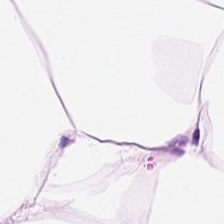H&E — Q: What tissue type is shown here?
A: Adipocytes.
